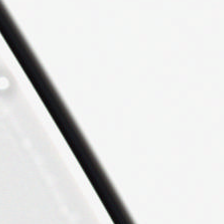Hematoxylin and eosin; 20× equivalent magnification.
Classification — no tissue.
